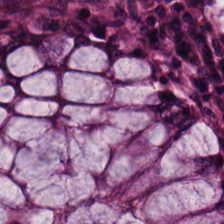The predominant tissue is non-neoplastic colon mucosa.
